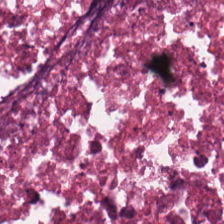H&E-stained tissue section — The predominant tissue is necrotic debris.
